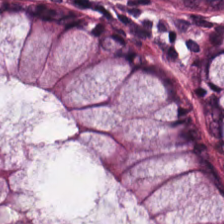H&E stain.
Showing normal colonic mucosa.
